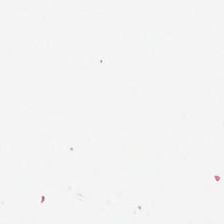No tissue present; background only.
